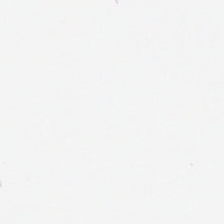Stain: H&E stain.
Field content: no tissue.
